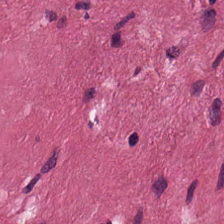Tissue — tumor stroma.
